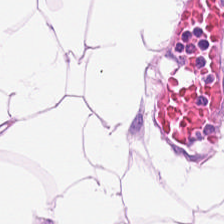Predominant tissue — fat tissue.
